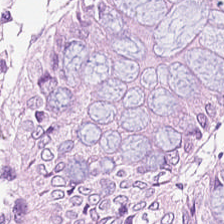H&E-stained tissue section — The predominant tissue is normal colon mucosa.
